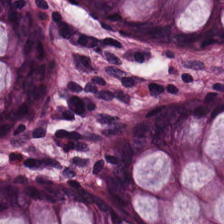Tissue — normal colonic mucosa.
